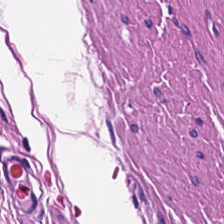H&E-stained tissue section. The predominant tissue is muscularis.
